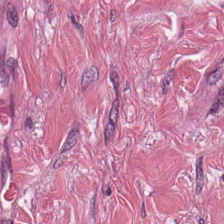{"tissue_type": "tumor-associated stroma"}
